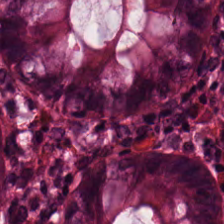Formalin-fixed paraffin-embedded section; hematoxylin-and-eosin stained section; 0.5 µm per pixel.
This patch shows benign colonic mucosa.
